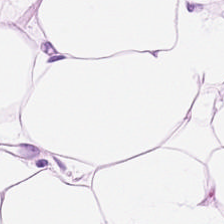The tissue here is adipose.
